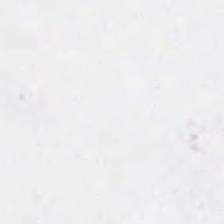Hematoxylin-and-eosin stained section.
Classification — empty background.
